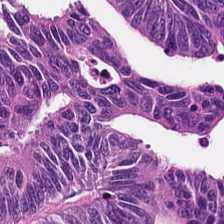Stain: hematoxylin and eosin.
Tissue class: colorectal adenocarcinoma.
